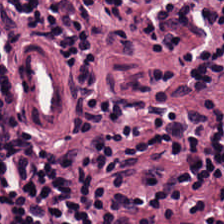Hematoxylin-and-eosin stained section; formalin-fixed paraffin-embedded section. Tissue type — lymphocytic infiltrate.
